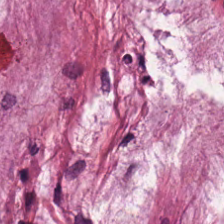H&E. The tissue is mucin.
